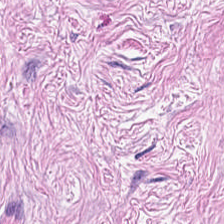Tissue — tumor stroma.
